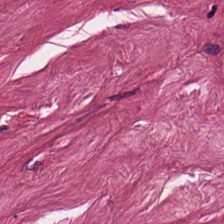H&E · brightfield · 224×224 px patch — Tissue type — cancer-associated stroma.
